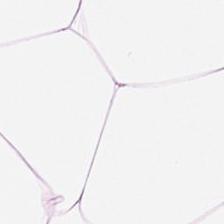H&E. 224×224 pixel tile. Brightfield microscopy. Fat tissue.
